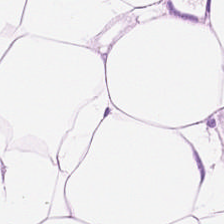H&E-stained tissue section. 20× equivalent magnification. Tissue type: fat tissue.
